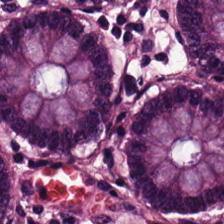0.5 microns per pixel. Hematoxylin and eosin. Predominant tissue — normal colon mucosa.
